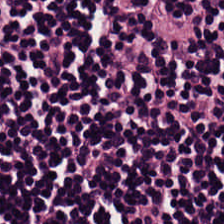H&E-stained tissue section. Q: What is the predominant tissue type?
A: It is lymphocytes.
